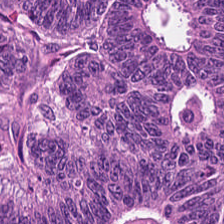Hematoxylin-and-eosin stained section; 224×224 px patch.
The predominant tissue is malignant epithelium.
